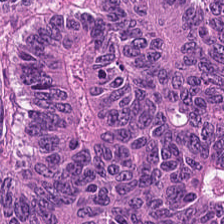Q: Classify this patch.
A: The field shows tumor epithelium.
